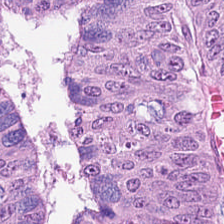224×224 px tile · hematoxylin and eosin · 0.5 µm per pixel. Q: What type of tissue is this?
A: It is tumor epithelium.
